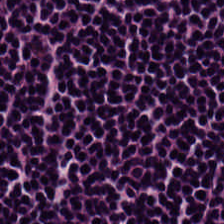0.5 microns per pixel · H&E stain. Lymphocytic infiltrate.
